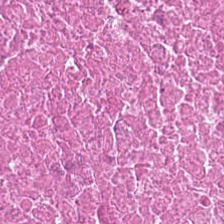224×224 px patch. H&E-stained tissue section.
{"tissue_type": "necrotic debris"}
